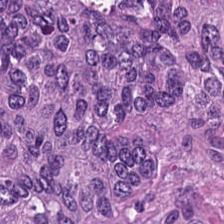Brightfield microscopy. Hematoxylin and eosin — Showing tumor epithelium.
